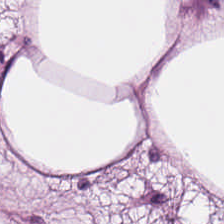Hematoxylin-and-eosin stained section · 224×224 px patch · brightfield.
Adipocytes.
